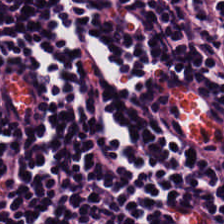Stain: H&E-stained tissue section.
Tile size: 224×224 px tile.
Tissue type: lymphocytes.
